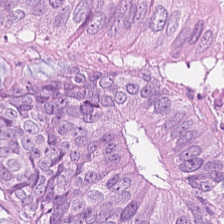Hematoxylin-and-eosin stained section; formalin-fixed paraffin-embedded section; 0.5 µm/px.
Tissue class = malignant epithelium.
